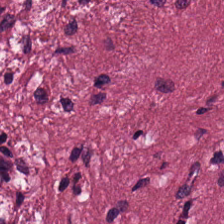Hematoxylin-and-eosin stained section — Tissue class = tumor-associated stroma.
